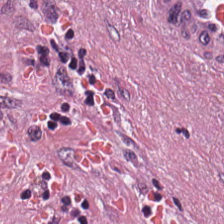Predominantly tumor stroma.
